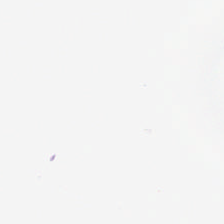Hematoxylin-and-eosin stained section — Field content: no tissue.
